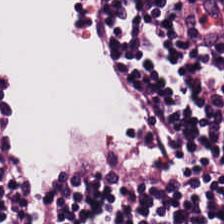H&E-stained tissue section · FFPE · 224×224 px tile.
{"tissue_type": "lymphocyte aggregate"}
